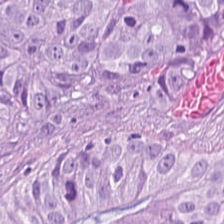Formalin-fixed paraffin-embedded section; hematoxylin and eosin — Colorectal adenocarcinoma.
